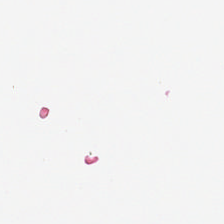H&E-stained tissue section — Q: Classify this patch.
A: The field shows background.
